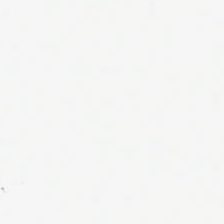Hematoxylin and eosin; WSI patch; formalin-fixed paraffin-embedded section. Histology → background (no tissue).
